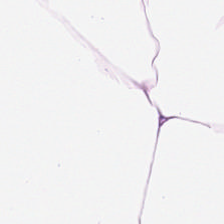224×224 pixel tile · H&E stain. The tissue class is adipose tissue.
